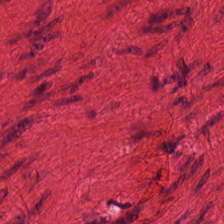Formalin-fixed paraffin-embedded section. Brightfield microscopy. Hematoxylin-and-eosin stained section. Predominantly muscularis.
